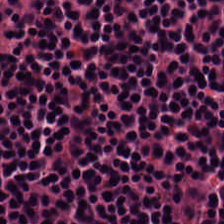Whole-slide-image patch · 0.5 µm/px · hematoxylin-and-eosin stained section. This field is lymphocytes.
